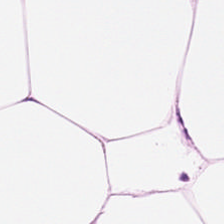0.5 µm/px · H&E. The tissue class is fat tissue.
